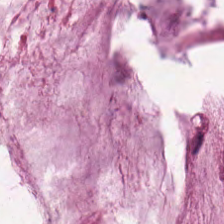H&E. The predominant tissue is extracellular mucin.
